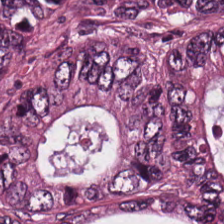0.5 microns per pixel · hematoxylin and eosin · 224×224 px patch.
Q: What is shown here?
A: Colorectal adenocarcinoma.
